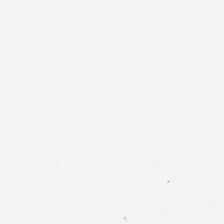The content is background (no tissue).
